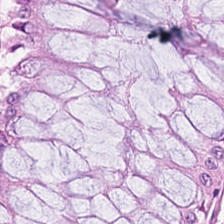Showing normal colonic mucosa.
